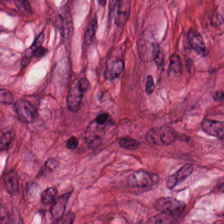Tissue class = cancer-associated stroma.
